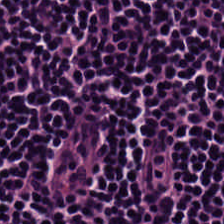H&E-stained tissue section — Q: What is shown in this field?
A: Lymphocyte aggregate.
